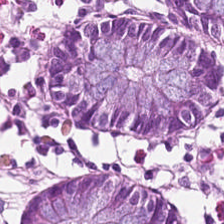0.5 microns per pixel. H&E stain. FFPE — The tissue here is normal colonic mucosa.
